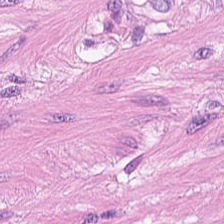H&E-stained tissue section. 0.5 µm per pixel.
Classification: muscularis.
